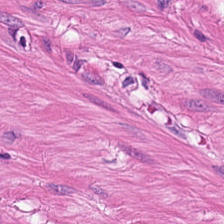Hematoxylin and eosin. 224×224 pixel tile. WSI patch — Predominantly smooth-muscle tissue.
